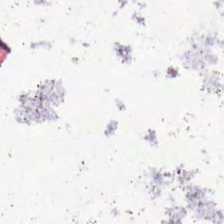Field content = no tissue.
